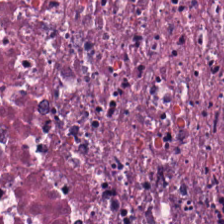Hematoxylin and eosin.
The classification is cellular debris.
